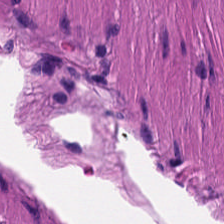Hematoxylin and eosin. WSI patch. 0.5 µm/px — The tissue type is muscularis.
